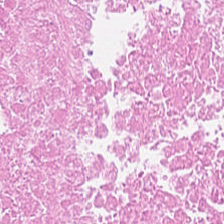H&E. FFPE. 224×224 pixel tile — Showing debris.
